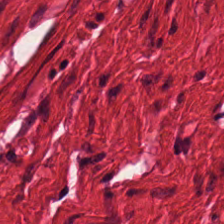Q: What tissue is shown?
A: The field shows muscularis.
